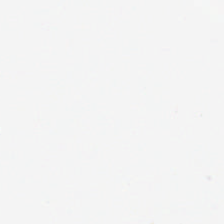H&E-stained tissue section.
Classification — background.
